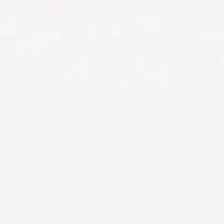H&E stain; brightfield; 0.5 µm/px. Classification = background.
